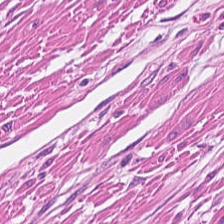Hematoxylin-and-eosin stained section; 224×224 px tile; brightfield microscopy — Predominant tissue = muscularis.
